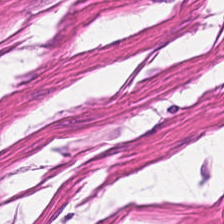20× equivalent magnification. H&E stain. Brightfield.
Finding — muscularis.
